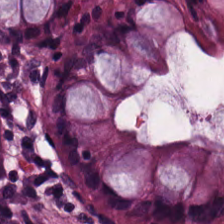H&E stain — The tissue here is non-neoplastic colon mucosa.
